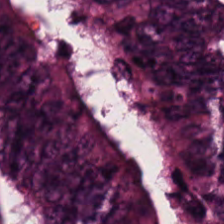224×224 px tile; hematoxylin and eosin. This field is colorectal adenocarcinoma.
